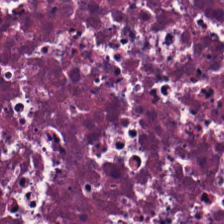H&E-stained tissue section.
The tissue here is cellular debris.
